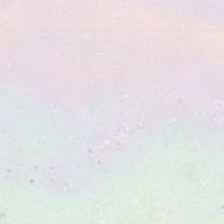Q: Classify this patch.
A: The field shows background (no tissue).
